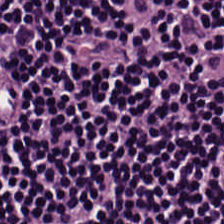Hematoxylin and eosin. 0.5 µm/px. 224×224 px tile — {"tissue_type": "lymphocytes"}
